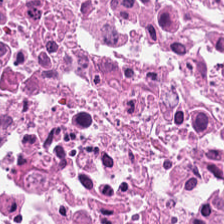H&E.
Showing debris.
